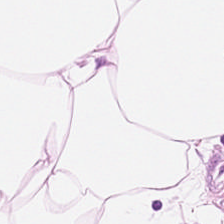Hematoxylin and eosin — Histology — adipose tissue.
